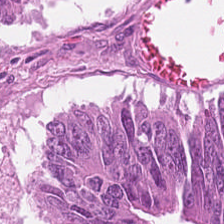The predominant tissue is tumor epithelium.
